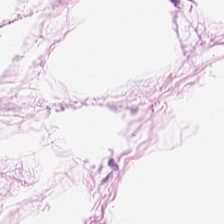Stain: H&E-stained tissue section.
Predominant tissue: adipose tissue.
